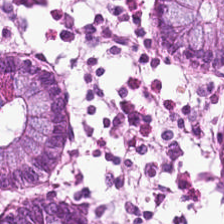H&E · 0.5 µm per pixel — {"tissue_type": "benign colonic mucosa"}
